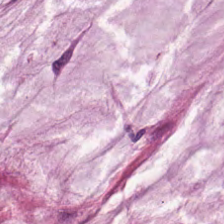H&E stain. Histology — mucin.
